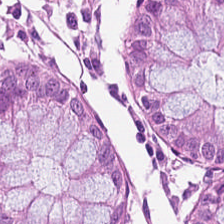Hematoxylin-and-eosin stained section. 20× equivalent magnification — The tissue type is benign colonic mucosa.
